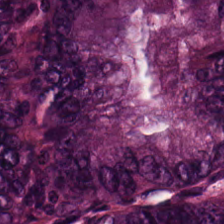H&E. {"tissue_type": "tumor epithelium"}
